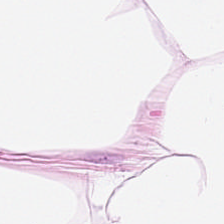Hematoxylin-and-eosin stained section; 224×224 px patch.
Tissue class = adipose.
